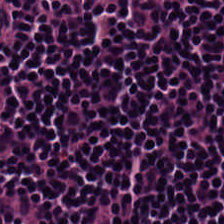H&E-stained tissue section; 224×224 pixel tile.
This field is lymphocyte aggregate.
